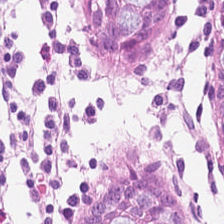H&E; 224×224 px patch.
Normal colon mucosa.
